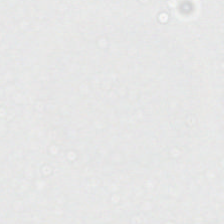Hematoxylin-and-eosin stained section — Q: What is shown in this field?
A: This is empty background.
